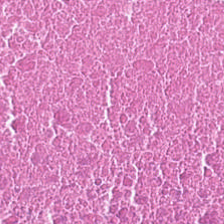Whole-slide-image patch · hematoxylin-and-eosin stained section · FFPE tissue section. Predominant tissue = cellular debris.
